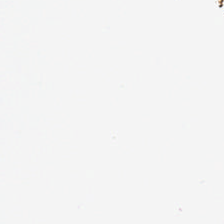H&E stain.
Histology → background (no tissue).
